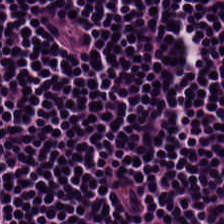224×224 pixel tile. Hematoxylin and eosin — This patch shows lymphocyte aggregate.
